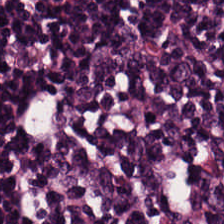Hematoxylin and eosin.
Finding — lymphocytes.
